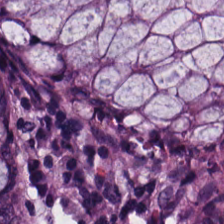224×224 px tile. H&E. Formalin-fixed paraffin-embedded section. Tissue class — normal colonic mucosa.
